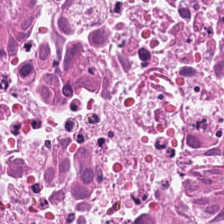0.5 µm/px. FFPE. Hematoxylin-and-eosin stained section — The tissue here is cellular debris.
